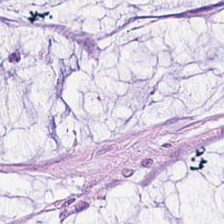H&E stain · brightfield microscopy. Q: Classify this patch.
A: It is mucin.
